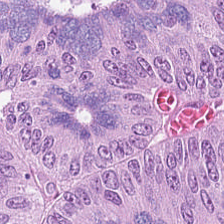Classification = colorectal adenocarcinoma epithelium.
